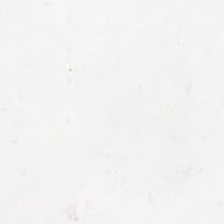H&E. This patch shows background.
